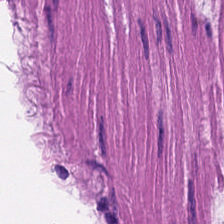Q: What tissue is shown?
A: The field shows muscularis.
